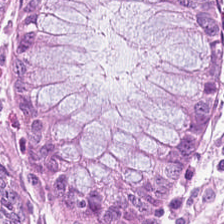0.5 microns per pixel. H&E-stained tissue section. Histology — normal colon mucosa.
